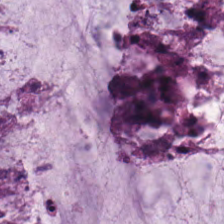{"tissue_type": "extracellular mucin"}
